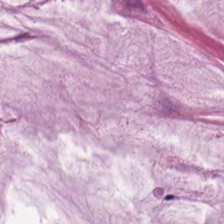Predominantly mucus.
